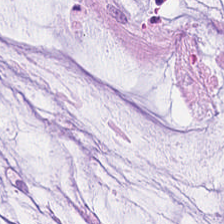Hematoxylin-and-eosin stained section; brightfield.
Classification — mucin.
